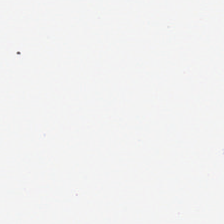Stain: hematoxylin-and-eosin stained section.
Tile size: 224×224 pixel tile.
Content: no tissue.
